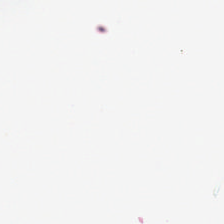H&E stain — Q: Classify this patch.
A: Empty background.
